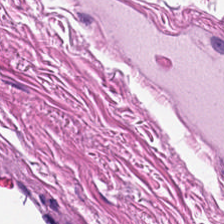Stain: H&E stain.
Tissue type: muscularis.
